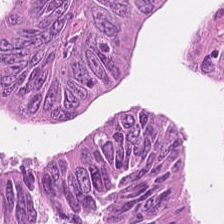H&E stain.
Q: What type of tissue is this?
A: The field shows colorectal adenocarcinoma epithelium.
